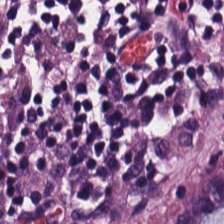FFPE. Hematoxylin and eosin — Q: What tissue is shown?
A: It is normal colonic mucosa.
